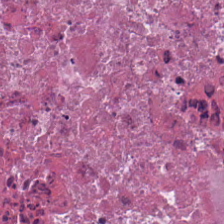Q: What tissue is shown?
A: Debris.
